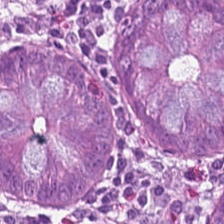H&E; 224×224 px patch — Q: What does this patch show?
A: It is normal colonic mucosa.
